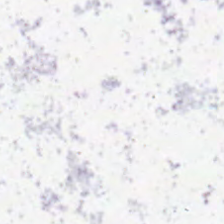FFPE; H&E-stained tissue section — Empty field — background (no tissue).
